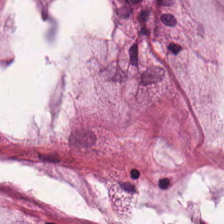0.5 µm/px. Hematoxylin and eosin. Brightfield.
Mucus.
